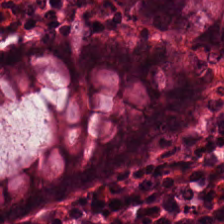Non-neoplastic colon mucosa.
